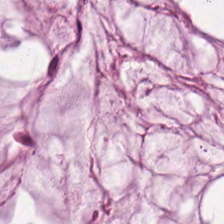Histology — mucus.
